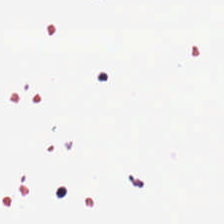Stain: hematoxylin and eosin.
Classification: background (no tissue).
